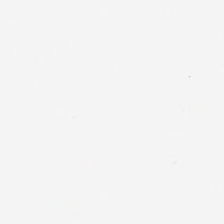Hematoxylin-and-eosin stained section. Background.
